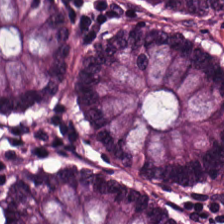H&E-stained tissue section — Tissue class — non-neoplastic colon mucosa.
